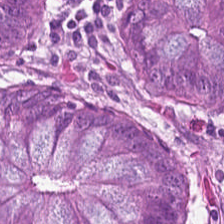0.5 µm/px; H&E-stained tissue section; WSI patch.
Tissue type = normal colon mucosa.
